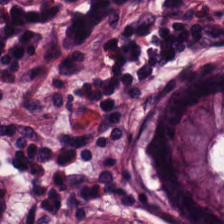H&E-stained section; the field shows normal colon mucosa.
